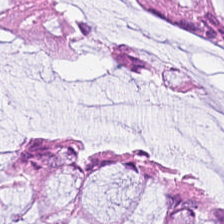Hematoxylin and eosin.
Q: Classify this patch.
A: It is normal colonic mucosa.
